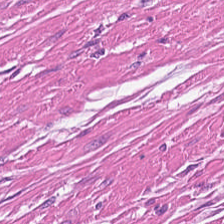Hematoxylin-and-eosin section: smooth-muscle tissue.
